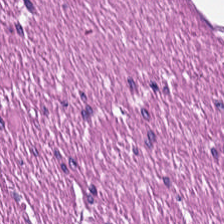The tissue is smooth-muscle tissue.
